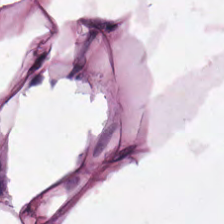Tissue type — adipose.
